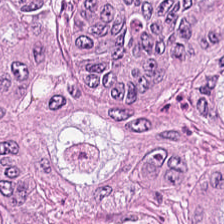H&E stain. Showing tumor epithelium.
